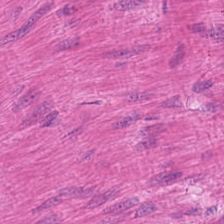H&E stain · brightfield · 0.5 microns per pixel. The tissue type is smooth muscle.
